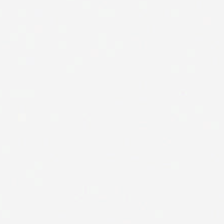Background.
